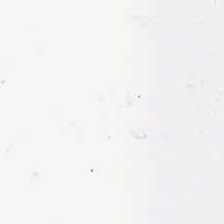H&E.
Empty field — background.
